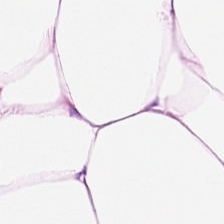Whole-slide-image patch · H&E-stained tissue section. Predominantly adipose tissue.
